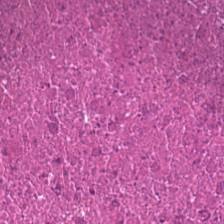{"tissue_type": "cellular debris"}
